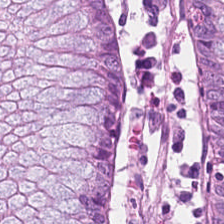Formalin-fixed paraffin-embedded section · hematoxylin-and-eosin stained section. Q: What tissue type is shown here?
A: It is normal colon mucosa.
